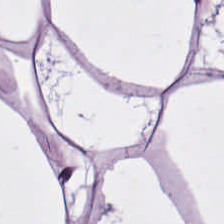224×224 pixel tile · hematoxylin and eosin · FFPE tissue section. The predominant tissue is adipose.
